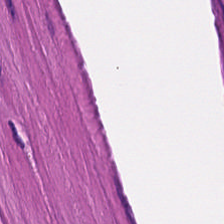Brightfield · H&E — Muscularis.
